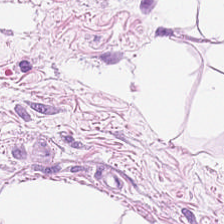H&E-stained tissue section.
Tissue = adipocytes.
